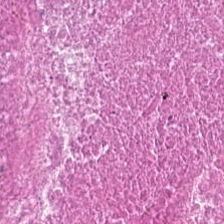Stain: H&E.
Acquisition: whole-slide-image patch.
Tissue type: debris.
